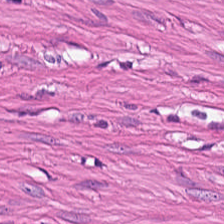Whole-slide-image patch · hematoxylin-and-eosin stained section — Showing smooth muscle.
